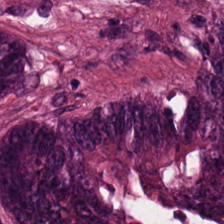224×224 px tile. Whole-slide-image patch. Hematoxylin and eosin. Q: What is shown in this field?
A: The field shows colorectal adenocarcinoma epithelium.
